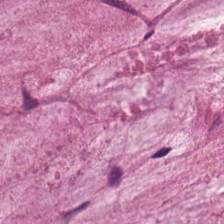Hematoxylin-and-eosin stained section. Predominant tissue: mucus.
